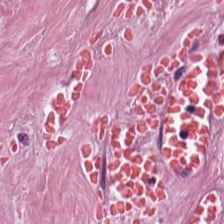Hematoxylin-and-eosin stained section — Q: What is shown here?
A: It is tumor-associated stroma.
